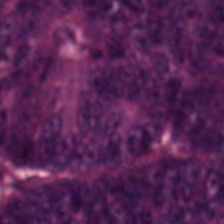{"tissue_type": "colorectal adenocarcinoma epithelium"}
